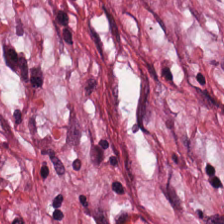WSI patch; formalin-fixed paraffin-embedded section; H&E-stained tissue section. {"tissue_type": "tumor-associated stroma"}
